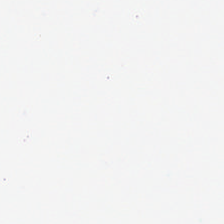Hematoxylin-and-eosin stained section · formalin-fixed paraffin-embedded section · 0.5 µm/px.
{"content": "empty background"}
